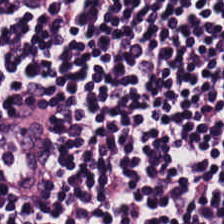Q: What does this patch show?
A: This is lymphoid infiltrate.
